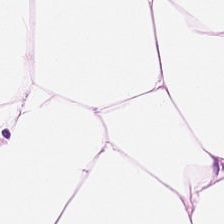Stain: H&E stain.
Tissue class: adipose.
